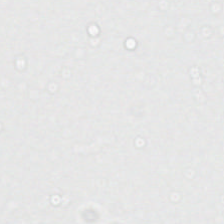H&E-stained tissue section — Content = no tissue.
